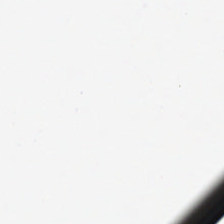0.5 µm/px. Hematoxylin-and-eosin stained section. Whole-slide-image patch. Field content — no tissue.
